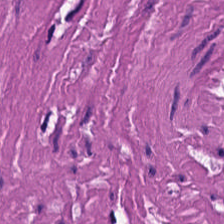H&E stain · brightfield · 0.5 microns per pixel.
This patch shows smooth muscle.
